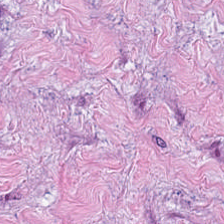Impression — cancer-associated stroma.
